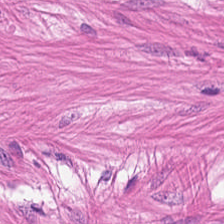Hematoxylin-and-eosin stained section.
The tissue here is smooth muscle.
